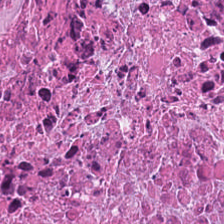The tissue here is necrotic debris.
